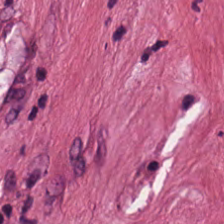H&E-stained tissue section. Formalin-fixed paraffin-embedded section — This patch shows desmoplastic stroma.
